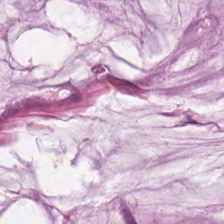H&E-stained tissue section.
This patch shows extracellular mucin.
